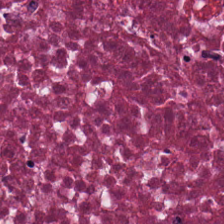FFPE tissue section. H&E stain.
Q: What tissue type is shown here?
A: This is debris.
